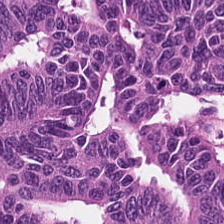H&E. Showing malignant epithelium.
